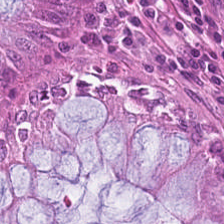Hematoxylin-and-eosin stained section — Impression — normal colon mucosa.
